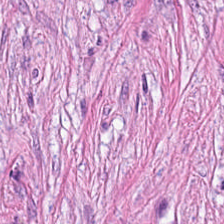H&E stain. Tumor-associated stroma.
